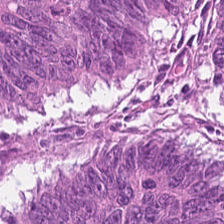H&E stain; formalin-fixed paraffin-embedded section.
Tissue type — tumor epithelium.
